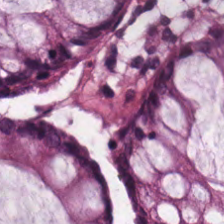FFPE · H&E-stained tissue section · 0.5 µm per pixel. Tissue type = normal colonic mucosa.
